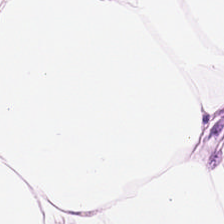The predominant tissue is adipocytes.
